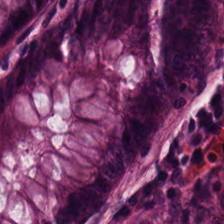Hematoxylin-and-eosin stained section; brightfield microscopy; 0.5 microns per pixel. This patch shows normal colonic mucosa.
